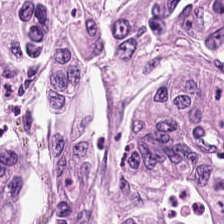WSI patch. Hematoxylin-and-eosin stained section — Showing colorectal adenocarcinoma epithelium.
